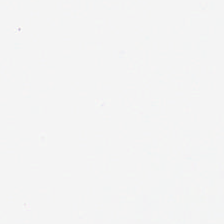Background — no tissue in this field.
